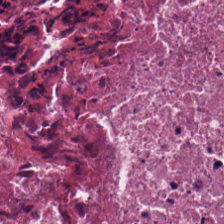Hematoxylin-and-eosin stained section. FFPE. Showing necrotic debris.
